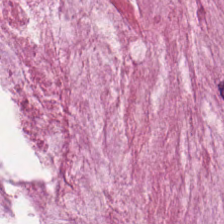Histology — mucus.
